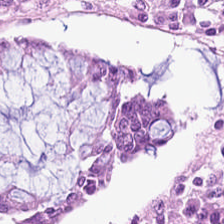Hematoxylin-and-eosin stained section; FFPE tissue section; 0.5 µm per pixel. This patch shows normal colonic mucosa.
